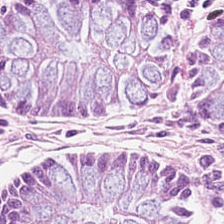224×224 px patch; H&E-stained tissue section. Q: What tissue is shown?
A: The field shows normal colon mucosa.
